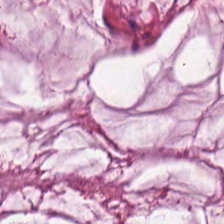This field is extracellular mucin.
